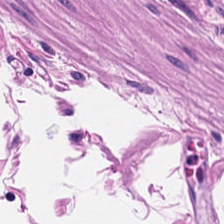Hematoxylin-and-eosin stained section.
The predominant tissue is smooth muscle.
